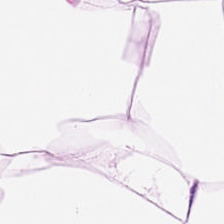H&E-stained tissue section.
Adipocytes.
